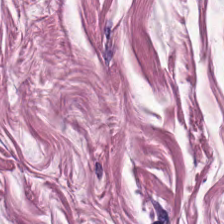Stain: H&E.
Predominant tissue: muscularis.
